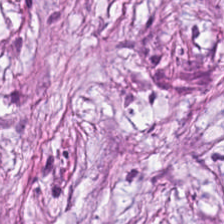Hematoxylin-and-eosin stained section.
Tissue class = tumor stroma.
